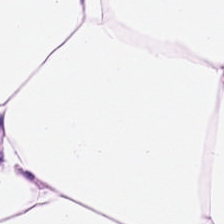H&E-stained tissue section.
The predominant tissue is adipose tissue.
